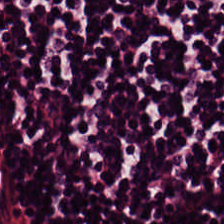Stain: hematoxylin and eosin.
Tissue class: lymphocytic infiltrate.
